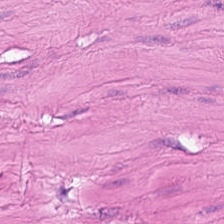Hematoxylin and eosin.
Tissue class — smooth muscle.
